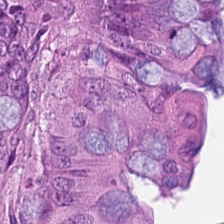Hematoxylin and eosin. The predominant tissue is malignant epithelium.
